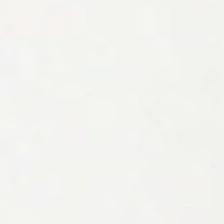Brightfield microscopy; H&E. Empty background.
